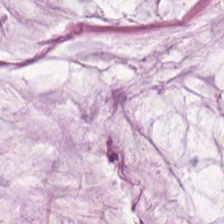The predominant tissue is extracellular mucin.
